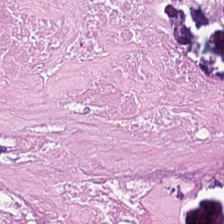Brightfield microscopy · 0.5 µm per pixel · H&E. Predominantly debris.
